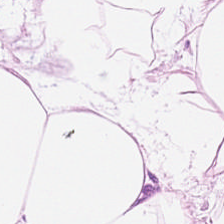Q: What does this patch show?
A: The field shows adipose.
